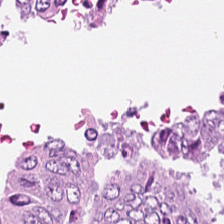H&E stain. Tissue = adenocarcinoma.
